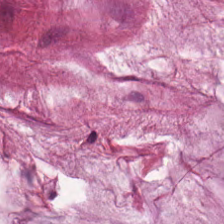H&E. Showing mucus.
